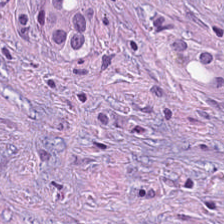Hematoxylin and eosin — Predominantly tumor stroma.
